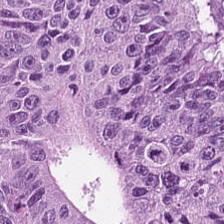H&E. Showing colorectal adenocarcinoma epithelium.
